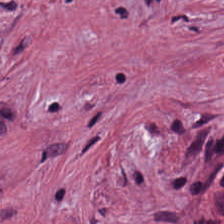H&E-stained tissue section showing tumor stroma.
